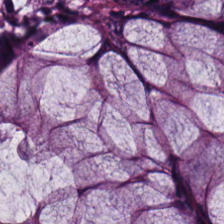Classification: normal colon mucosa.
